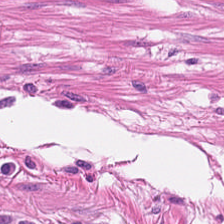H&E-stained tissue section · 224×224 px tile · whole-slide-image patch.
This field is smooth muscle.
